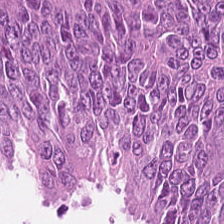H&E-stained tissue section — Showing tumor epithelium.
